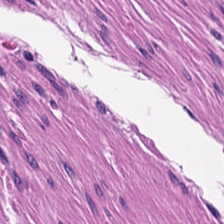H&E; FFPE tissue section.
Tissue type — smooth-muscle tissue.
